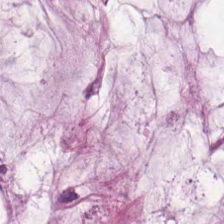H&E stain. Q: What is shown in this field?
A: The field shows mucin.
